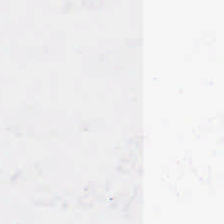No tissue present; background only.
